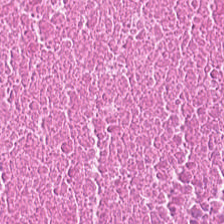Hematoxylin and eosin. 224×224 pixel tile. Formalin-fixed paraffin-embedded section — Q: What tissue type is shown here?
A: The field shows necrotic debris.
